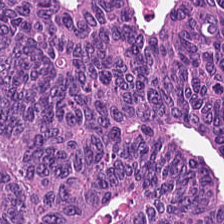FFPE tissue section · hematoxylin-and-eosin stained section — This field is tumor epithelium.
